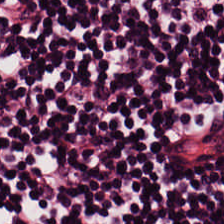Hematoxylin-and-eosin stained section. WSI patch. 224×224 px patch — The tissue here is lymphocytes.
